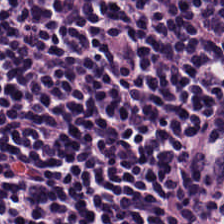Hematoxylin-and-eosin stained section.
Predominantly lymphoid infiltrate.
